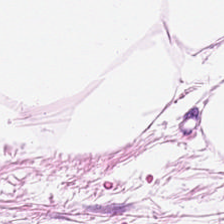Brightfield; H&E; FFPE — {"tissue_type": "fat tissue"}
